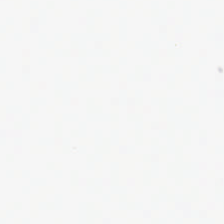224×224 pixel tile; H&E stain.
Content = empty background.
